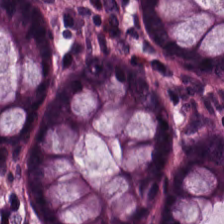WSI patch · hematoxylin and eosin.
Impression — non-neoplastic colon mucosa.
